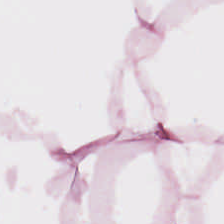H&E — This field is adipose tissue.
